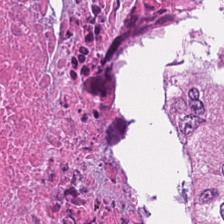Hematoxylin and eosin — Q: What type of tissue is this?
A: This is necrotic debris.
